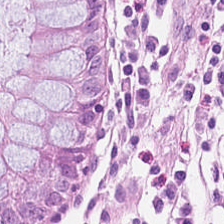H&E.
Tissue class: non-neoplastic colon mucosa.
